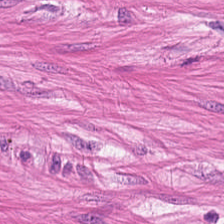Stain: hematoxylin-and-eosin stained section.
Tissue class: smooth-muscle tissue.
